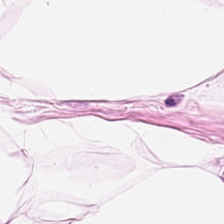H&E-stained tissue section.
Tissue class — adipose.
